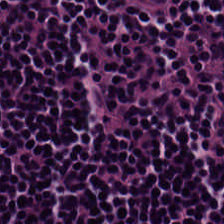Hematoxylin and eosin.
The tissue here is lymphocytic infiltrate.
